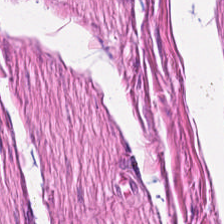H&E-stained tissue section — {"tissue_type": "muscularis"}
